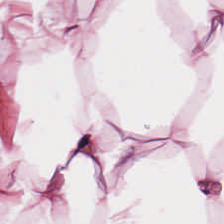Brightfield; H&E stain; 0.5 µm per pixel.
Tissue class = adipose.
